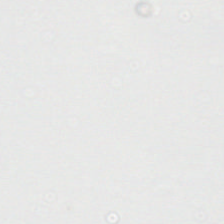H&E stain — Q: Classify this patch.
A: This is empty background.
